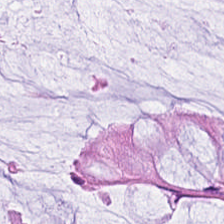Hematoxylin and eosin. Q: Identify the tissue.
A: It is benign colonic mucosa.
